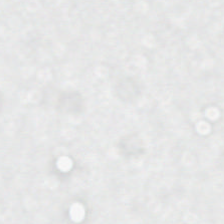224×224 px tile. Hematoxylin and eosin.
Classification: background.
